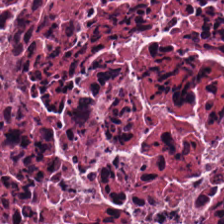Hematoxylin-and-eosin stained section · formalin-fixed paraffin-embedded section.
This patch shows cellular debris.
